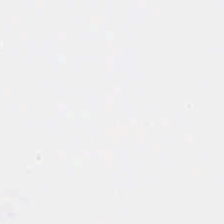Hematoxylin and eosin · 0.5 microns per pixel.
Field content: empty background.
